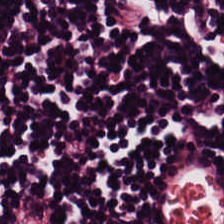Classification = lymphocyte aggregate.
